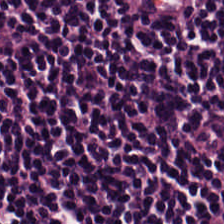224×224 px tile · whole-slide-image patch · H&E stain — Predominantly lymphocytic infiltrate.
